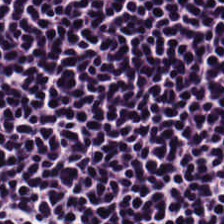Hematoxylin-and-eosin stained section. Tissue type = lymphocytes.
